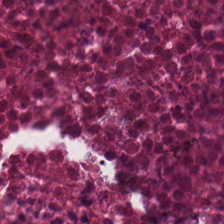This patch shows cellular debris.
